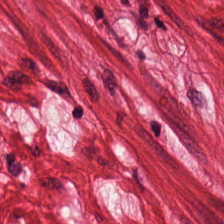H&E-stained tissue section — Predominantly smooth muscle.
